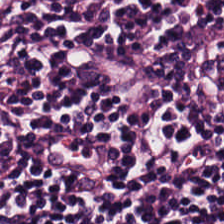Tissue class: lymphoid infiltrate.
